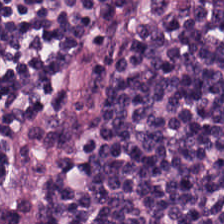Hematoxylin and eosin. FFPE. This patch shows lymphocyte aggregate.
